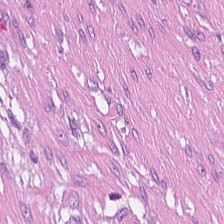The predominant tissue is cancer-associated stroma.
